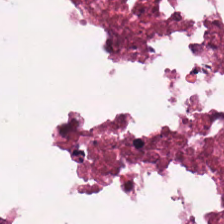FFPE · H&E stain. This patch shows necrotic debris.
